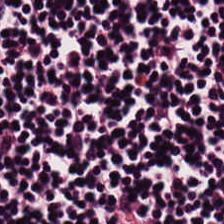H&E. 224×224 pixel tile. Brightfield.
Classification = lymphocyte aggregate.
